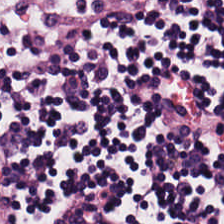Formalin-fixed paraffin-embedded section · H&E. Predominant tissue — lymphocytes.
